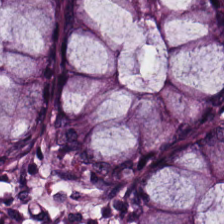Formalin-fixed paraffin-embedded section; hematoxylin-and-eosin stained section. Predominantly normal colonic mucosa.
